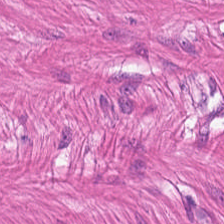Hematoxylin-and-eosin stained section. 20× equivalent magnification. This patch shows smooth muscle.
